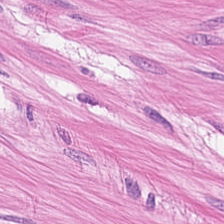Hematoxylin and eosin — Finding — muscularis.
